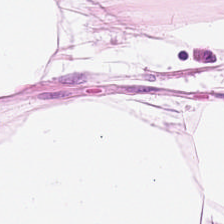H&E — Adipocytes.
